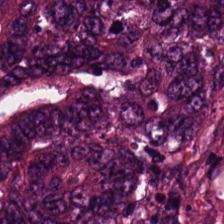The tissue here is adenocarcinoma.
